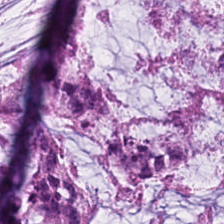224×224 px patch; H&E-stained tissue section — Tissue type = mucin.
